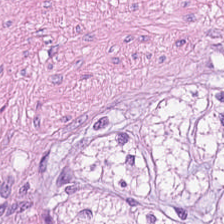Stain: H&E stain.
Preparation: FFPE tissue section.
Tissue class: smooth-muscle tissue.
